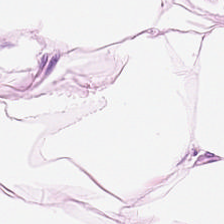This patch shows adipose.
